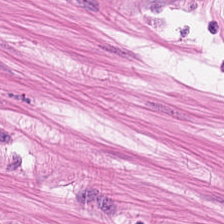FFPE. 224×224 pixel tile. H&E-stained tissue section — Tissue type — smooth-muscle tissue.
